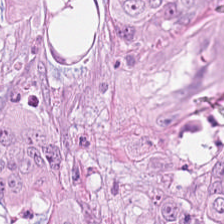Hematoxylin-and-eosin stained section. 0.5 µm/px — Q: Identify the tissue.
A: The field shows tumor epithelium.
